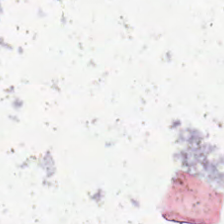Stain: H&E-stained tissue section.
Content: background.
